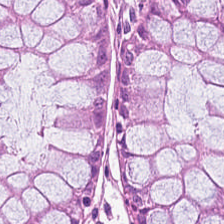H&E-stained tissue section · FFPE tissue section.
This patch shows benign colonic mucosa.
